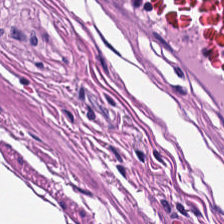Tissue class = smooth-muscle tissue.
